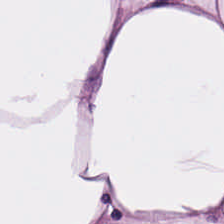Hematoxylin and eosin. This field is adipose tissue.
